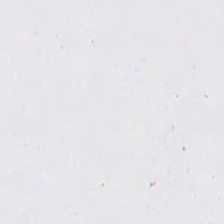Stain: hematoxylin-and-eosin stained section.
Classification: background (no tissue).
